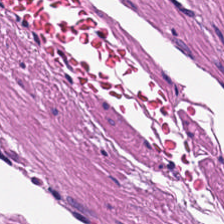H&E. WSI patch — Classification = smooth-muscle tissue.
